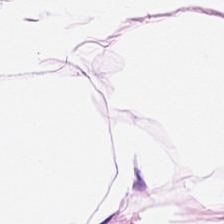224×224 px patch · hematoxylin-and-eosin stained section. The tissue here is adipose.
